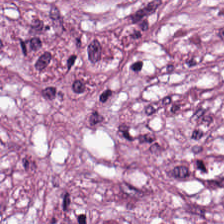Predominantly tumor stroma.
